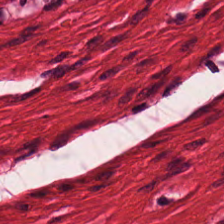0.5 µm/px; H&E-stained tissue section — {"tissue_type": "muscularis"}
